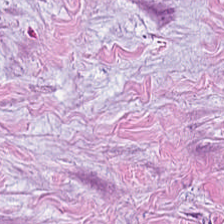Hematoxylin and eosin. Brightfield microscopy. Tissue — tumor-associated stroma.
